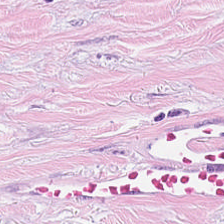Hematoxylin and eosin. The tissue here is desmoplastic stroma.
